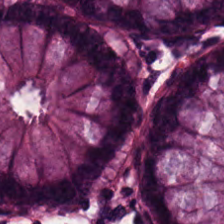H&E-stained tissue section — The tissue here is benign colonic mucosa.
